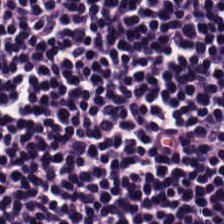Hematoxylin-and-eosin stained section; whole-slide-image patch. The classification is lymphocyte aggregate.
